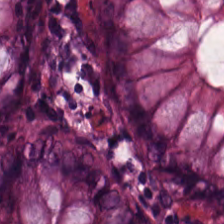H&E-stained tissue section · formalin-fixed paraffin-embedded section · whole-slide-image patch. Q: What tissue is shown?
A: It is non-neoplastic colon mucosa.
